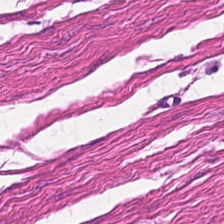H&E-stained tissue section.
Finding — smooth-muscle tissue.
